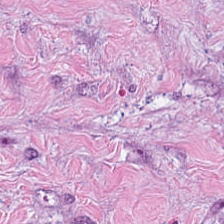H&E-stained tissue section · 20× equivalent magnification · whole-slide-image patch. The predominant tissue is tumor stroma.
